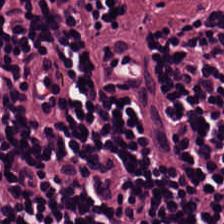This field is lymphocytes.
